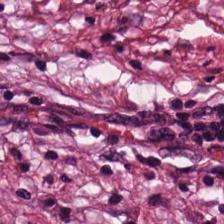Impression → cancer-associated stroma.
